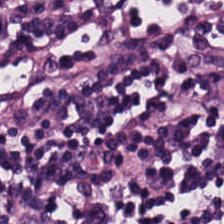Predominant tissue = lymphoid infiltrate.
